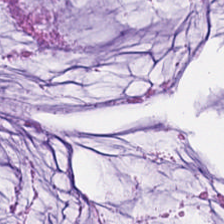Hematoxylin-and-eosin stained section.
The predominant tissue is mucus.
